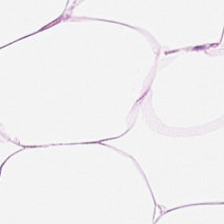H&E — adipose tissue.
